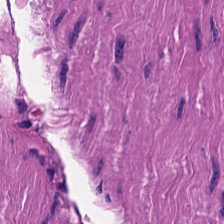Hematoxylin-and-eosin stained section. Classification: smooth-muscle tissue.
